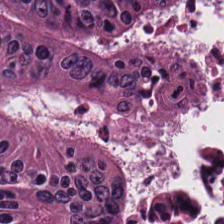Brightfield microscopy · formalin-fixed paraffin-embedded section · hematoxylin-and-eosin stained section.
Showing malignant epithelium.
